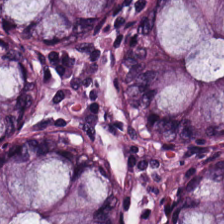224×224 pixel tile; H&E.
Tissue class — benign colonic mucosa.
